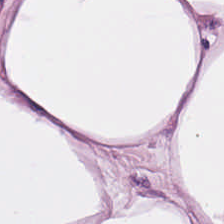Hematoxylin and eosin.
Classification = adipose.
